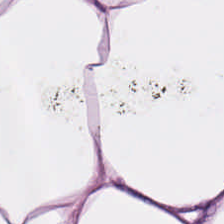Stain: H&E-stained tissue section.
Resolution: 20× equivalent magnification.
Tissue type: fat tissue.
